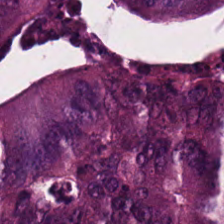H&E-stained tissue section showing adenocarcinoma.
